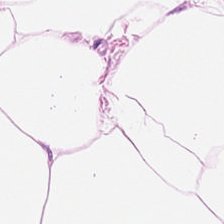H&E — fat tissue.
